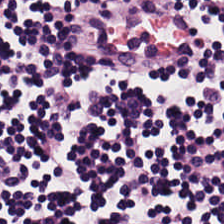Tissue = lymphocytes.
